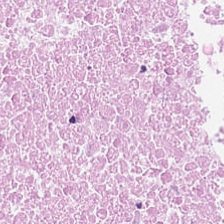224×224 px tile · H&E-stained tissue section. This field is necrotic debris.
